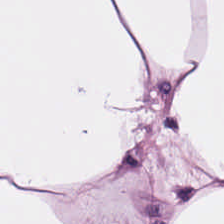FFPE tissue section · hematoxylin and eosin — Classification: fat tissue.
